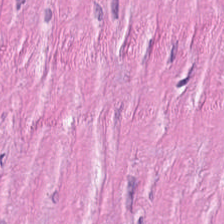Hematoxylin and eosin — The predominant tissue is cancer-associated stroma.
